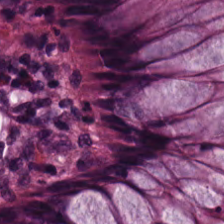H&E patch showing benign colonic mucosa.
